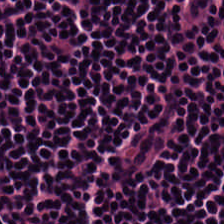20× equivalent magnification; H&E stain — The tissue is lymphoid infiltrate.
